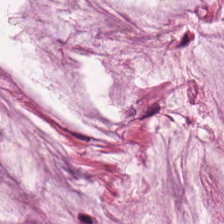Stain: hematoxylin and eosin.
Tissue type: extracellular mucin.
